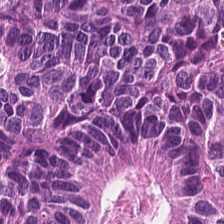WSI patch · hematoxylin and eosin.
The tissue type is colorectal adenocarcinoma.
